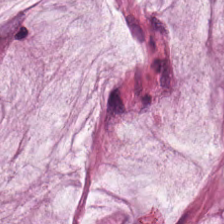Hematoxylin and eosin — The predominant tissue is mucus.
